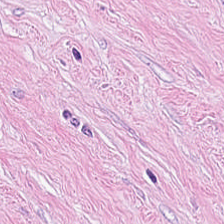Stain: H&E stain.
Tissue: desmoplastic stroma.
